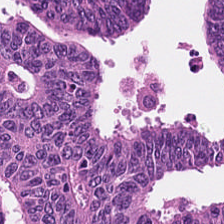H&E-stained tissue section. Colorectal adenocarcinoma epithelium.
